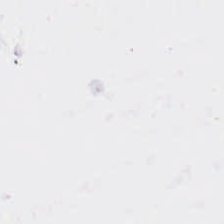FFPE. H&E stain. 224×224 px tile. No tissue present; background only.
